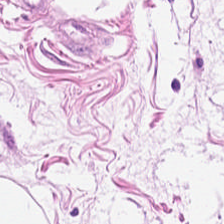Hematoxylin and eosin.
The predominant tissue is adipocytes.
